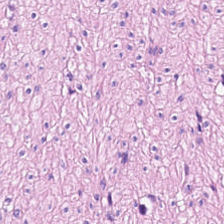Hematoxylin-and-eosin stained section. WSI patch. Formalin-fixed paraffin-embedded section. Smooth muscle.
